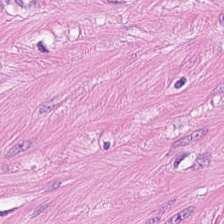H&E-stained tissue section. FFPE tissue section — Q: What type of tissue is this?
A: The field shows smooth muscle.
